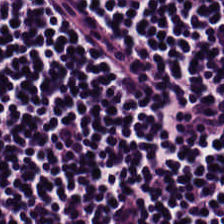Whole-slide-image patch · 224×224 px patch · hematoxylin and eosin — Q: What type of tissue is this?
A: The field shows lymphoid infiltrate.
